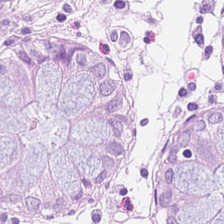Tissue — non-neoplastic colon mucosa.
